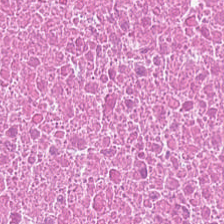Brightfield microscopy; H&E stain; 224×224 px tile — Q: What tissue type is shown here?
A: Cellular debris.
